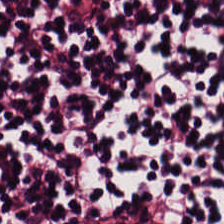Brightfield microscopy; FFPE; H&E-stained tissue section — Q: What is shown in this field?
A: This is lymphoid infiltrate.
